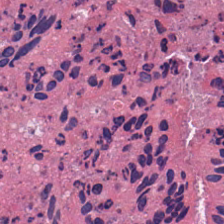Stain: hematoxylin-and-eosin stained section.
Predominant tissue: debris.
